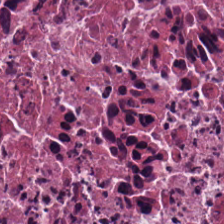H&E stain. Predominantly debris.
